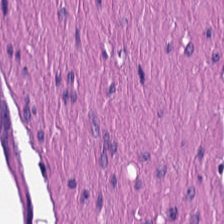Impression — muscularis.
